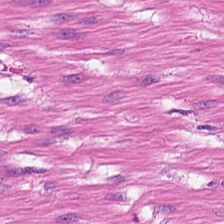Q: What is shown here?
A: It is muscularis.
